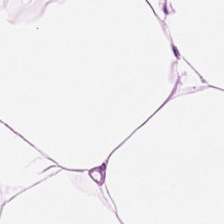Formalin-fixed paraffin-embedded section. 224×224 px patch. Hematoxylin and eosin.
Impression → adipocytes.
